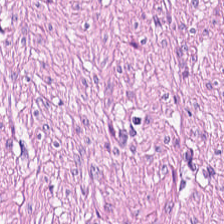Hematoxylin-and-eosin stained section. Brightfield microscopy — {"tissue_type": "muscularis"}
